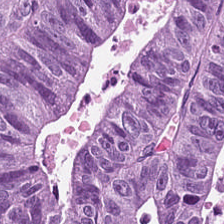The predominant tissue is colorectal adenocarcinoma.
